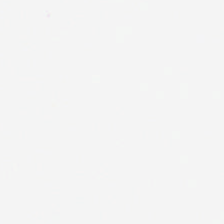H&E-stained tissue section. Background — no tissue in this field.
